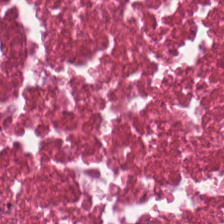H&E stain — Q: What is the predominant tissue type?
A: It is debris.
